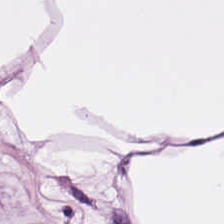Hematoxylin and eosin · brightfield microscopy · 224×224 px tile.
The tissue here is adipocytes.
